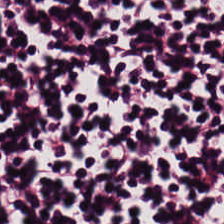H&E-stained tissue section showing lymphocytic infiltrate.
